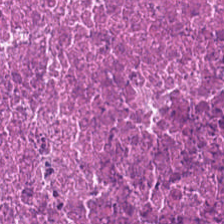Tissue type: debris.
